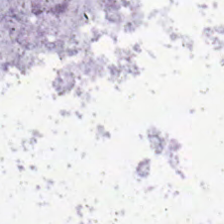Hematoxylin-and-eosin stained section.
This patch shows background (no tissue).
